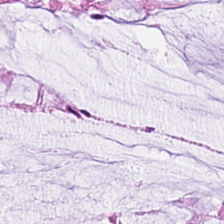H&E. Formalin-fixed paraffin-embedded section. Histology — normal colon mucosa.
